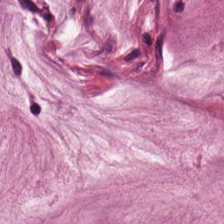H&E stain. Tissue type: mucus.
